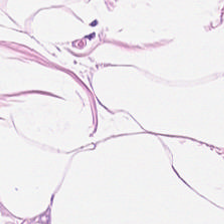Hematoxylin-and-eosin stained section. Brightfield.
Histology — adipocytes.
